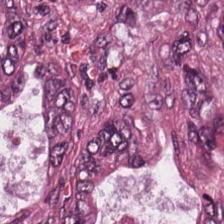Hematoxylin and eosin; 0.5 µm per pixel; 224×224 px tile — The tissue here is colorectal adenocarcinoma epithelium.
